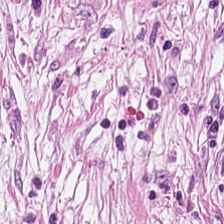Stain: H&E stain.
Acquisition: brightfield.
Classification: cancer-associated stroma.
